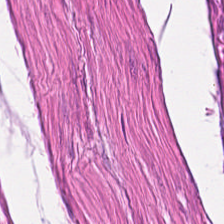Stain: hematoxylin-and-eosin stained section.
Predominant tissue: smooth-muscle tissue.
